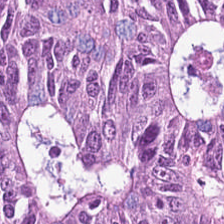Formalin-fixed paraffin-embedded section; 0.5 µm/px; H&E. The tissue here is colorectal adenocarcinoma epithelium.
